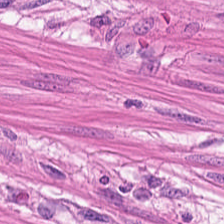H&E-stained tissue section · 20× equivalent magnification.
Tissue class = muscularis.
